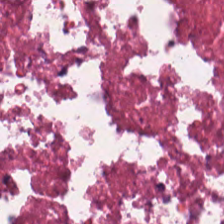Q: Identify the tissue.
A: This is debris.
